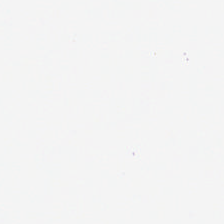224×224 px patch; H&E stain.
{"content": "background"}
